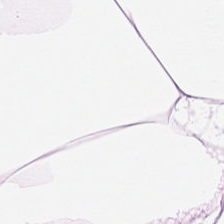Hematoxylin-and-eosin stained section — The tissue is adipose.
